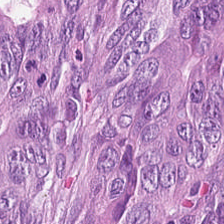Hematoxylin and eosin.
{"tissue_type": "adenocarcinoma"}
